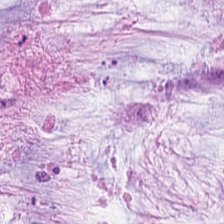Hematoxylin and eosin. 224×224 px patch.
Histology — extracellular mucin.
